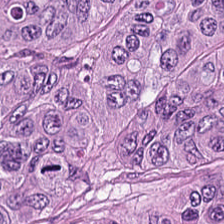Hematoxylin-and-eosin stained section. 0.5 µm/px — Tissue = adenocarcinoma.
